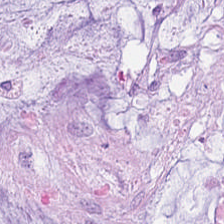224×224 px tile · 20× equivalent magnification · H&E stain.
Showing mucin.
